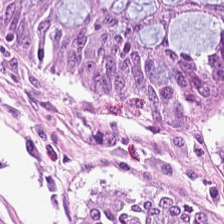Stain: H&E-stained tissue section.
Classification: normal colonic mucosa.
